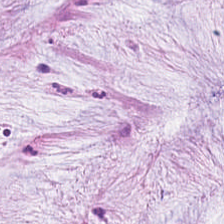H&E-stained tissue section. 0.5 µm per pixel. Predominant tissue — extracellular mucin.
